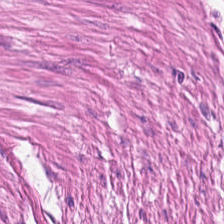Histology → muscularis.
